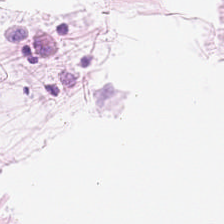Brightfield microscopy. Hematoxylin and eosin. Classification: adipose.
